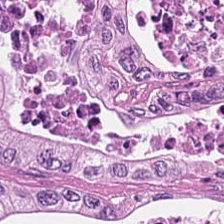H&E — adenocarcinoma.
